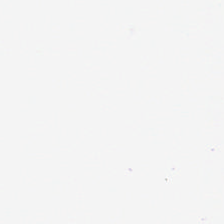H&E-stained tissue section.
No tissue present; background only.
